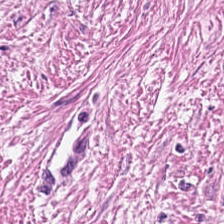Whole-slide-image patch. H&E-stained tissue section. Showing cancer-associated stroma.
